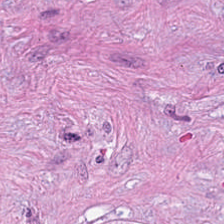The classification is tumor-associated stroma.
